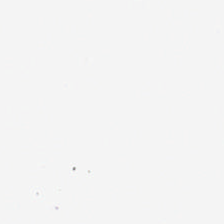224×224 px tile. H&E stain.
Empty field — empty background.
